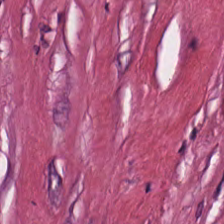Stain: H&E-stained tissue section.
Tissue: tumor-associated stroma.
